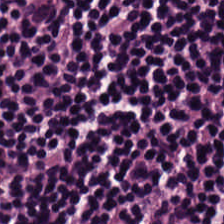H&E-stained tissue section. Finding — lymphocytes.
